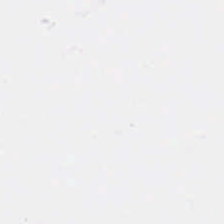Histology — background (no tissue).
